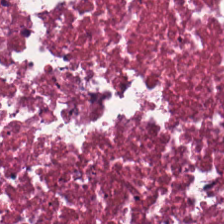H&E-stained tissue section · FFPE. Predominantly debris.
